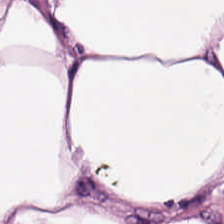0.5 microns per pixel. WSI patch. H&E stain. Adipose tissue.
